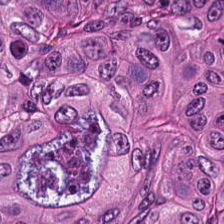H&E.
This field is colorectal adenocarcinoma epithelium.
